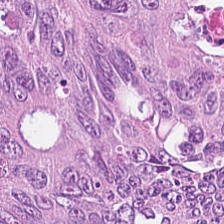Brightfield microscopy; H&E-stained tissue section — This field is colorectal adenocarcinoma epithelium.
